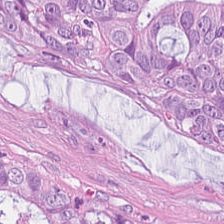Tissue class = malignant epithelium.
